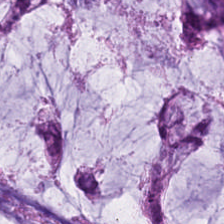Hematoxylin and eosin — Tissue — mucin.
